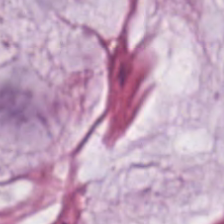H&E. Showing mucin.
